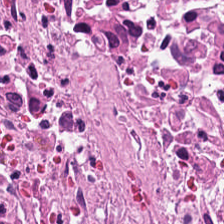H&E. 224×224 px tile. Brightfield microscopy — Showing debris.
